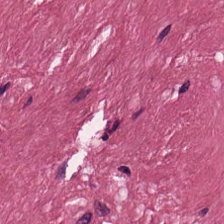{"tissue_type": "cancer-associated stroma"}
